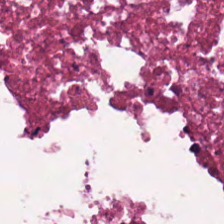H&E stain · FFPE tissue section · 224×224 pixel tile.
Classification = cellular debris.
